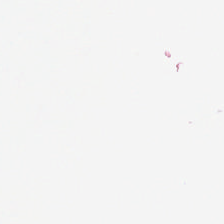H&E. Finding → no tissue.
